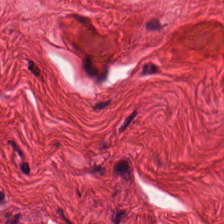224×224 px tile. Hematoxylin and eosin.
This field is smooth-muscle tissue.
